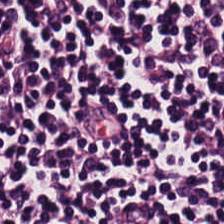Brightfield · hematoxylin-and-eosin stained section. Impression — lymphocyte aggregate.
